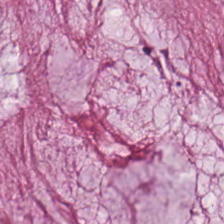H&E-stained tissue section — Q: What is shown in this field?
A: This is mucus.
